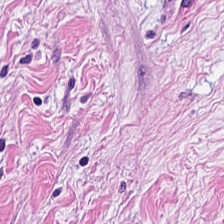Showing desmoplastic stroma.
